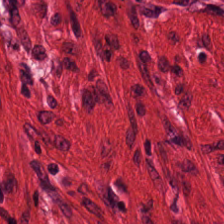Showing smooth muscle.
